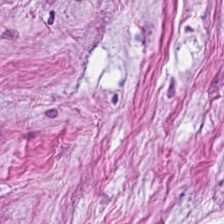H&E-stained tissue section — This field is desmoplastic stroma.
